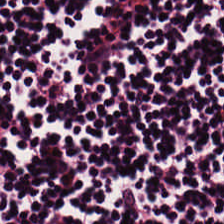H&E — This field is lymphocytic infiltrate.
